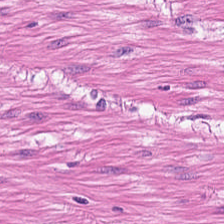0.5 µm per pixel. Whole-slide-image patch. Hematoxylin-and-eosin stained section. Q: Classify this patch.
A: It is smooth muscle.
